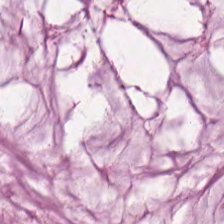224×224 px patch. H&E — The predominant tissue is mucin.
